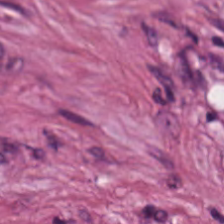H&E-stained tissue section. Histology — tumor-associated stroma.
